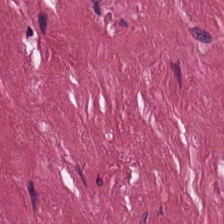224×224 pixel tile · whole-slide-image patch · H&E-stained tissue section. Classification: tumor-associated stroma.
